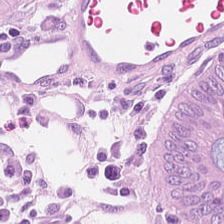0.5 microns per pixel. H&E-stained tissue section. This field is non-neoplastic colon mucosa.
